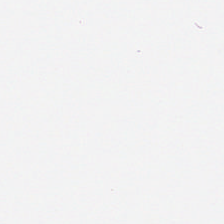Formalin-fixed paraffin-embedded section · H&E — This patch shows background (no tissue).
